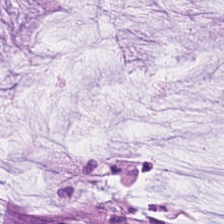Hematoxylin and eosin; 224×224 px patch; whole-slide-image patch. Tissue class — mucus.
